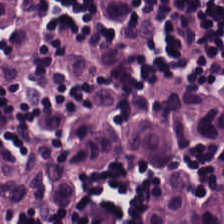Hematoxylin and eosin. The predominant tissue is lymphocyte aggregate.
